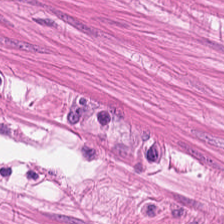This patch shows smooth-muscle tissue.
